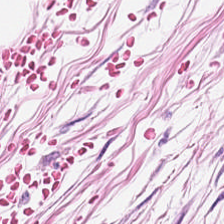H&E. Classification — adipose tissue.
